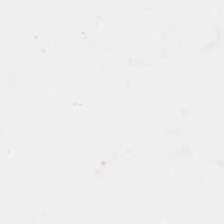H&E · FFPE tissue section · 20× equivalent magnification.
{"content": "background"}
